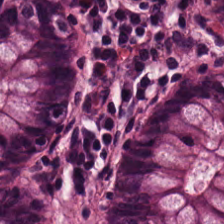Tissue class = benign colonic mucosa.
